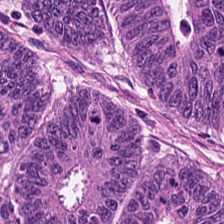H&E stain; formalin-fixed paraffin-embedded section.
The tissue type is colorectal adenocarcinoma epithelium.
